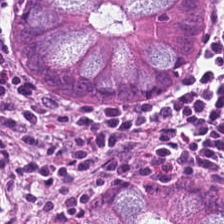224×224 pixel tile; H&E stain — This field is normal colon mucosa.
